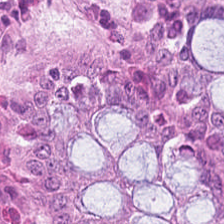The predominant tissue is normal colon mucosa.
